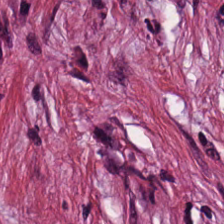H&E. 20× equivalent magnification.
Finding — tumor-associated stroma.
